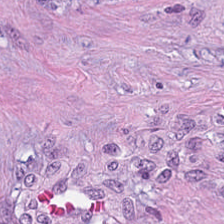Hematoxylin and eosin; brightfield microscopy; FFPE. Cancer-associated stroma.
